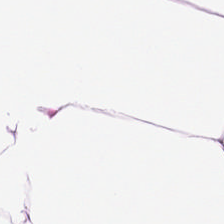Hematoxylin-and-eosin stained section.
The tissue here is adipose.
